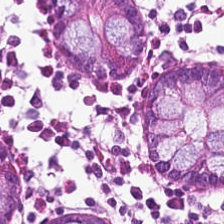Stain: H&E.
Predominant tissue: non-neoplastic colon mucosa.
